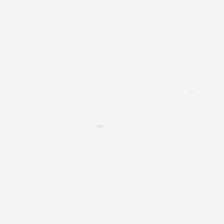H&E-stained tissue section · 0.5 µm per pixel · 224×224 px tile. Q: What does this patch show?
A: It is empty background.
